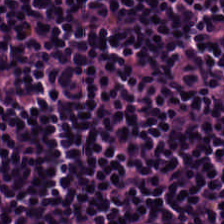Whole-slide-image patch; 224×224 px tile; hematoxylin-and-eosin stained section — {"tissue_type": "lymphocytic infiltrate"}
